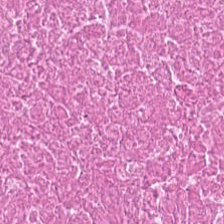Stain: H&E-stained tissue section.
Acquisition: brightfield microscopy.
Preparation: FFPE tissue section.
Tissue class: cellular debris.
